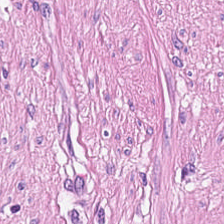Stain: hematoxylin and eosin.
Preparation: FFPE tissue section.
Tile size: 224×224 px patch.
Tissue type: muscularis.
